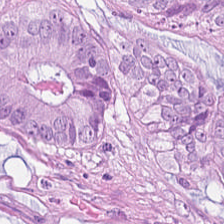H&E stain — Q: What type of tissue is this?
A: It is colorectal adenocarcinoma.
